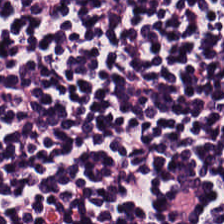Stain: hematoxylin and eosin.
Predominant tissue: lymphocytes.
